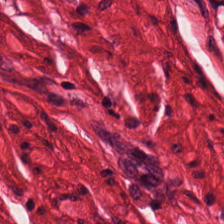Formalin-fixed paraffin-embedded section. Hematoxylin-and-eosin stained section. Brightfield.
Q: What tissue is shown?
A: It is muscularis.
